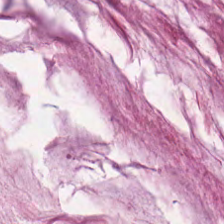H&E-stained tissue section; FFPE.
Classification = extracellular mucin.
